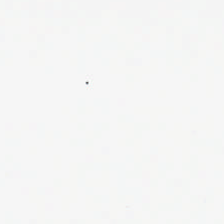Stain: H&E-stained tissue section.
Content: empty background.
